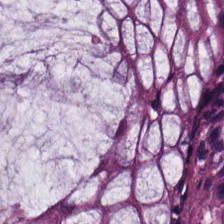H&E. Tissue = normal colon mucosa.
